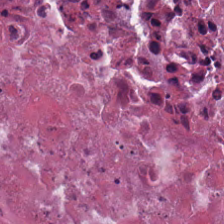Hematoxylin-and-eosin stained section — Impression — necrotic debris.
